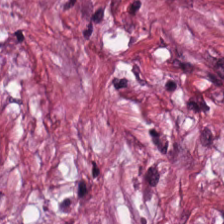H&E-stained tissue section — Histology → tumor stroma.
